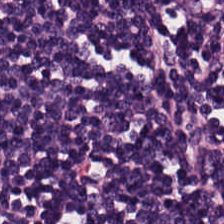FFPE; hematoxylin-and-eosin stained section. Lymphocytes.
